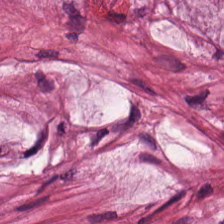H&E-stained tissue section showing extracellular mucin.
